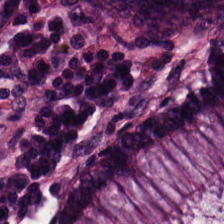H&E stain. FFPE. 224×224 px tile. Non-neoplastic colon mucosa.
